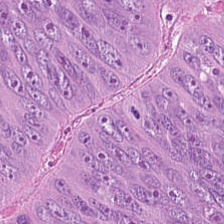Hematoxylin-and-eosin stained section. The tissue is colorectal adenocarcinoma epithelium.
